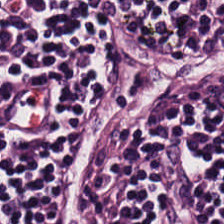FFPE tissue section · H&E — Q: What is the predominant tissue type?
A: This is lymphocytic infiltrate.
